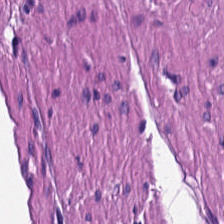Hematoxylin-and-eosin stained section — Histology → muscularis.
